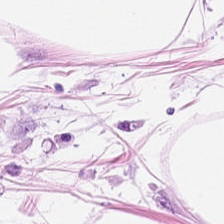Hematoxylin and eosin.
This patch shows adipose.
